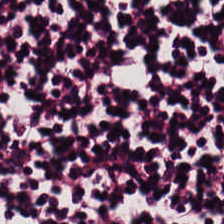Brightfield microscopy. H&E-stained tissue section — Predominantly lymphoid infiltrate.
